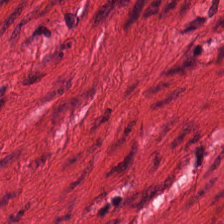H&E — smooth-muscle tissue.
